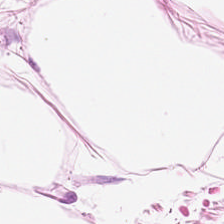Hematoxylin and eosin · brightfield microscopy · 224×224 pixel tile.
Predominantly adipose.
